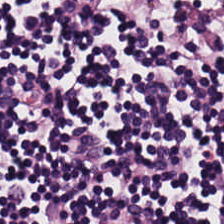Hematoxylin-and-eosin stained section.
This patch shows lymphocytes.
